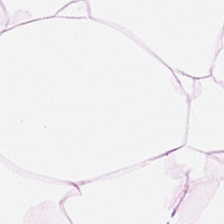Stain: hematoxylin and eosin.
Tissue type: fat tissue.
